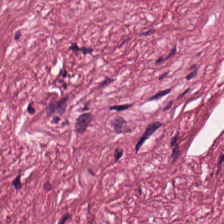H&E stain. 224×224 pixel tile. WSI patch. This field is tumor stroma.
